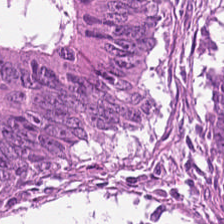H&E stain · FFPE — The tissue is colorectal adenocarcinoma.
